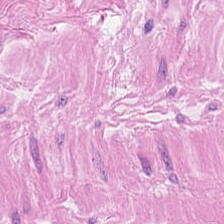H&E-stained tissue section showing muscularis.
